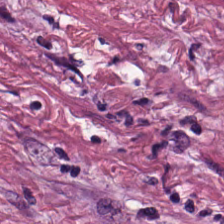Stain: hematoxylin-and-eosin stained section.
Tissue: desmoplastic stroma.
